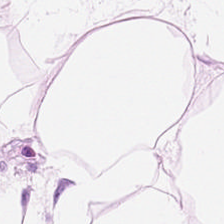Hematoxylin and eosin; 0.5 µm/px. The predominant tissue is adipose.
